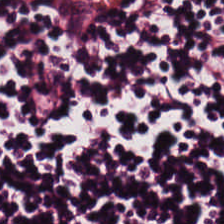H&E-stained tissue section.
Impression — lymphocytic infiltrate.
